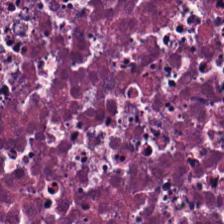H&E-stained tissue section. The predominant tissue is cellular debris.
